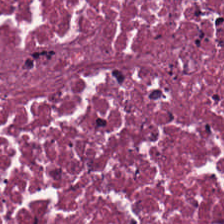224×224 px patch. Hematoxylin and eosin — Tissue class: necrotic debris.
